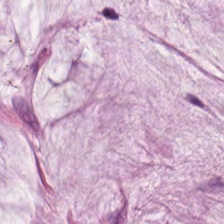H&E-stained tissue section.
Tissue type — extracellular mucin.
